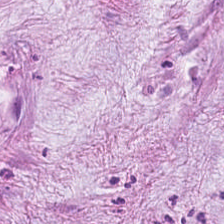Brightfield microscopy. Hematoxylin and eosin — Q: What does this patch show?
A: It is extracellular mucin.
